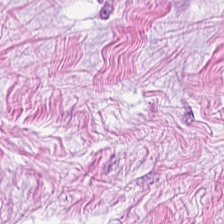Hematoxylin and eosin.
The predominant tissue is tumor stroma.
